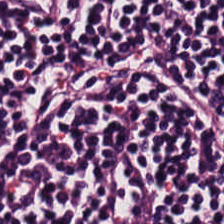Q: What tissue type is shown here?
A: Lymphocyte aggregate.
